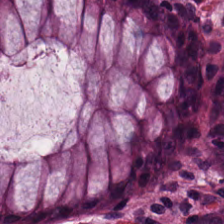224×224 px patch; brightfield; H&E stain. Tissue class — normal colon mucosa.
